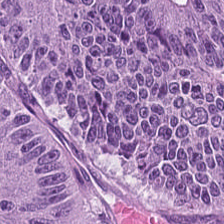224×224 px tile. Formalin-fixed paraffin-embedded section. H&E stain.
This patch shows tumor epithelium.
